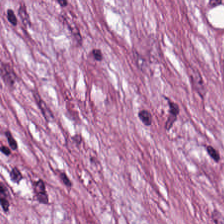Hematoxylin and eosin. FFPE tissue section — Impression → tumor stroma.
